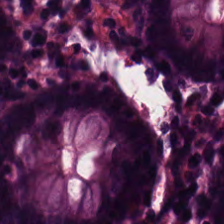Hematoxylin and eosin — Impression → non-neoplastic colon mucosa.
